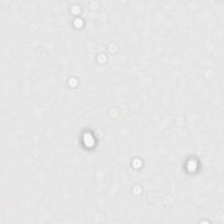Stain: hematoxylin-and-eosin stained section.
Resolution: 0.5 µm/px.
Tile size: 224×224 px tile.
Field content: background (no tissue).
